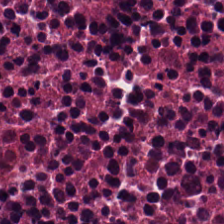Tissue class = necrotic debris.
